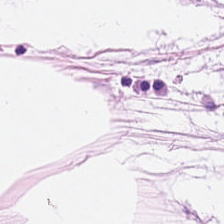Hematoxylin and eosin. The tissue here is adipocytes.
